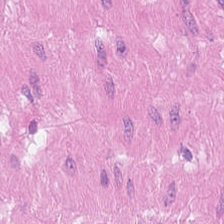0.5 µm per pixel · 224×224 pixel tile · hematoxylin-and-eosin stained section.
Predominant tissue = smooth-muscle tissue.
